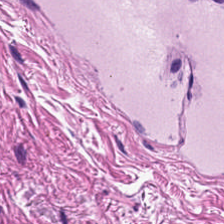FFPE tissue section · WSI patch · H&E stain — Showing smooth muscle.
